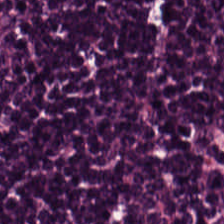H&E stain.
Lymphoid infiltrate.
